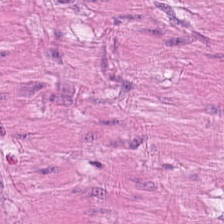H&E stain · brightfield microscopy · FFPE tissue section.
Histology — smooth-muscle tissue.
